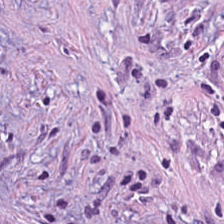H&E-stained section; the field shows desmoplastic stroma.
